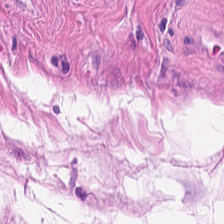Hematoxylin and eosin.
This field is muscularis.
